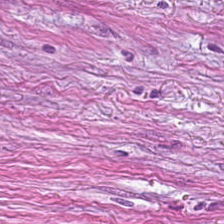224×224 px patch; FFPE; H&E-stained tissue section. Predominant tissue = tumor stroma.
